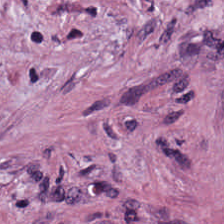Stain: H&E stain.
Classification: cancer-associated stroma.
